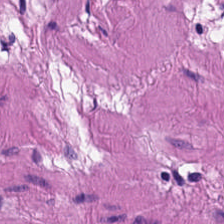224×224 pixel tile; H&E stain.
The predominant tissue is muscularis.
